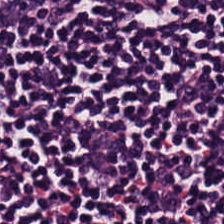H&E.
Histology → lymphoid infiltrate.
